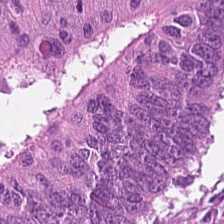H&E stain — Predominant tissue = adenocarcinoma.
